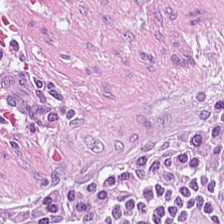Hematoxylin-and-eosin stained section; 0.5 microns per pixel — This field is desmoplastic stroma.
